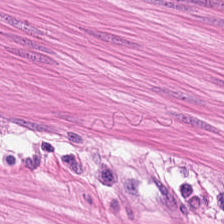Tissue type = smooth muscle.
